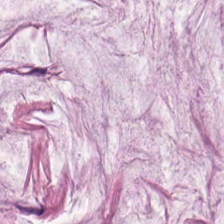Hematoxylin and eosin.
Q: What type of tissue is this?
A: The field shows extracellular mucin.
